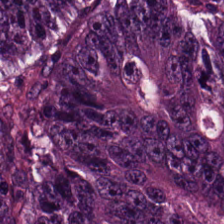Finding → malignant epithelium.
